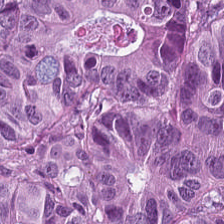224×224 px tile; H&E stain — The tissue is tumor epithelium.
